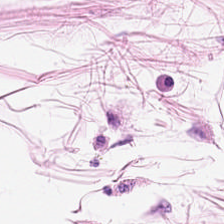H&E stain. {"tissue_type": "adipose"}
